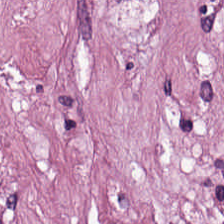Hematoxylin and eosin.
Finding → tumor stroma.
